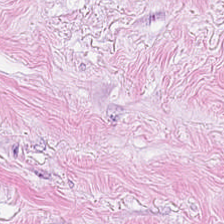Stain: H&E stain.
Tile size: 224×224 px tile.
Resolution: 0.5 µm/px.
Classification: tumor stroma.
